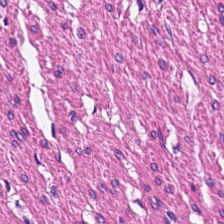Whole-slide-image patch · hematoxylin-and-eosin stained section — Q: What is shown here?
A: Smooth muscle.
